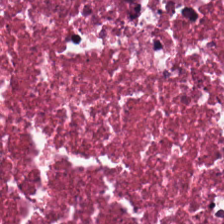Hematoxylin and eosin.
Tissue class: cellular debris.
